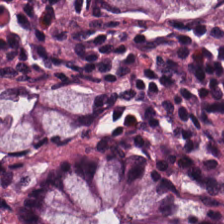Stain: H&E.
Tissue: benign colonic mucosa.
